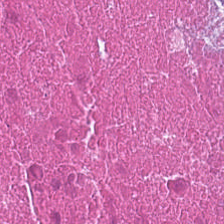This patch shows necrotic debris.
